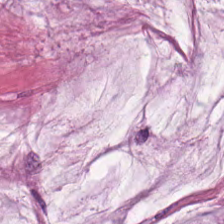Finding → mucus.
